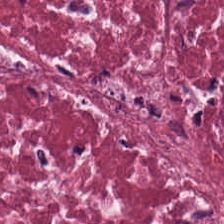WSI patch. Hematoxylin and eosin. The tissue is tumor-associated stroma.
